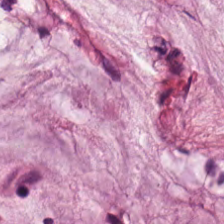This patch shows mucin.
